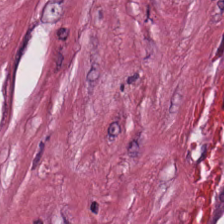Hematoxylin and eosin — Q: What tissue type is shown here?
A: It is tumor stroma.
